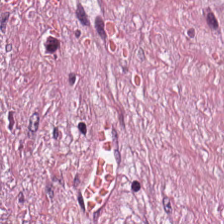224×224 px patch. H&E-stained tissue section. 20× equivalent magnification. Q: Identify the tissue.
A: The field shows tumor stroma.
